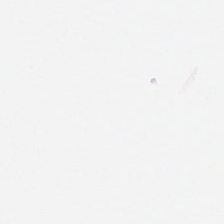This field is background (no tissue).
